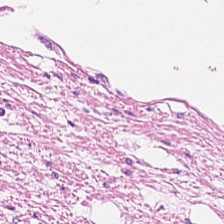H&E stain — Smooth-muscle tissue.
